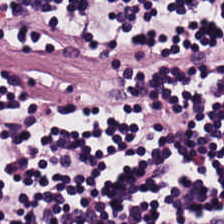Q: What tissue is shown?
A: It is lymphoid infiltrate.
